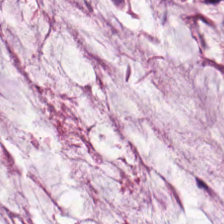H&E-stained tissue section · 224×224 px tile — {"tissue_type": "extracellular mucin"}
